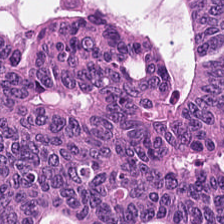Q: Classify this patch.
A: This is malignant epithelium.
